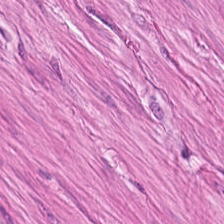Whole-slide-image patch; 0.5 µm/px; H&E. Q: What tissue type is shown here?
A: This is smooth-muscle tissue.
